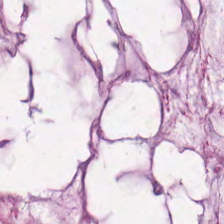H&E · FFPE tissue section — Q: What tissue type is shown here?
A: Mucin.
